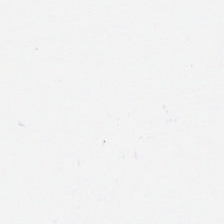H&E · brightfield microscopy · formalin-fixed paraffin-embedded section — Content — background.
